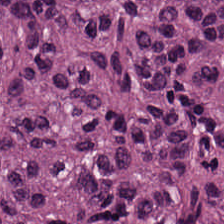Brightfield; hematoxylin-and-eosin stained section — Histology → adenocarcinoma.
